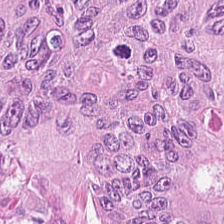Hematoxylin-and-eosin stained section. Predominantly adenocarcinoma.
